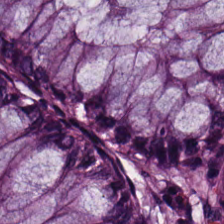Hematoxylin-and-eosin stained section.
The tissue type is benign colonic mucosa.
